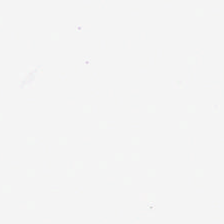Hematoxylin-and-eosin stained section; 20× equivalent magnification — The field content is empty background.
